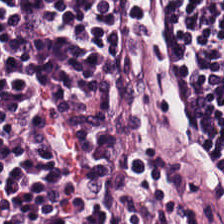Stain: H&E.
Tissue type: lymphoid infiltrate.
